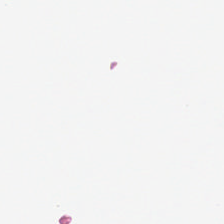Hematoxylin-and-eosin stained section · 0.5 µm/px.
Impression — empty background.
